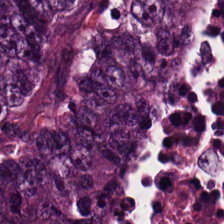Hematoxylin and eosin — {"tissue_type": "malignant epithelium"}
